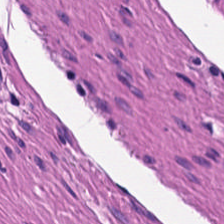H&E. Q: What is shown here?
A: Smooth muscle.
